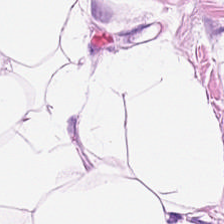FFPE; whole-slide-image patch; hematoxylin and eosin.
The tissue here is adipocytes.
